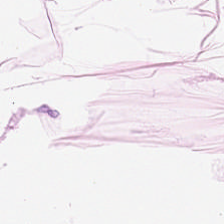Stain: H&E stain.
Resolution: 0.5 µm/px.
Tissue type: adipocytes.
